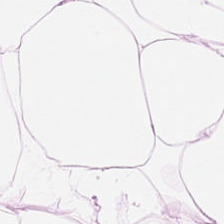WSI patch. H&E-stained tissue section.
Fat tissue.
